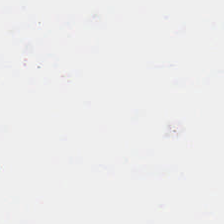Finding — background.
